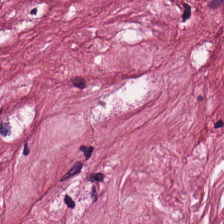Formalin-fixed paraffin-embedded section. H&E. WSI patch. Q: What tissue type is shown here?
A: Cancer-associated stroma.
